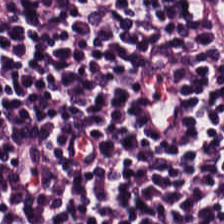Hematoxylin-and-eosin stained section. Predominantly lymphocytes.
